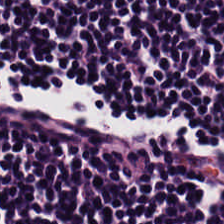{"tissue_type": "lymphocyte aggregate"}
